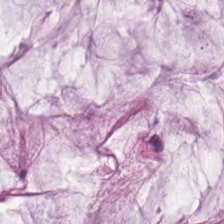Q: What type of tissue is this?
A: This is mucus.
